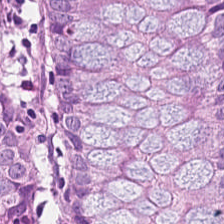H&E stain · FFPE. Tissue class = normal colon mucosa.
